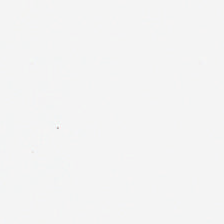H&E. Impression → background.
